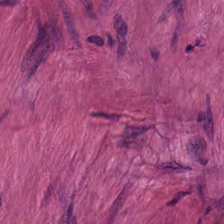This field is smooth-muscle tissue.
